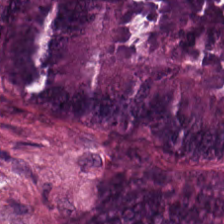H&E-stained tissue section — Tissue — colorectal adenocarcinoma.
